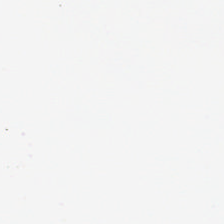Stain: hematoxylin and eosin.
Field content: empty background.
